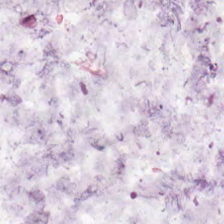Hematoxylin and eosin — Q: What is shown in this field?
A: It is mucin.
